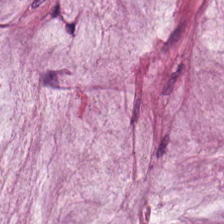H&E.
Histology — mucus.
